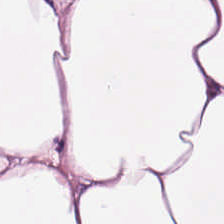H&E patch showing adipocytes.
